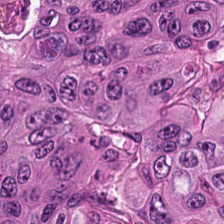Brightfield; H&E — Tissue class — tumor epithelium.
